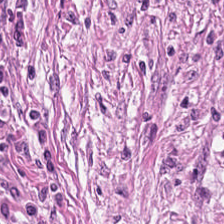Hematoxylin-and-eosin stained section. Q: What type of tissue is this?
A: Desmoplastic stroma.
